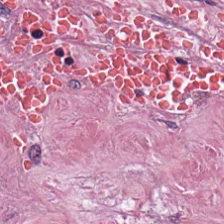Q: What tissue is shown?
A: It is cancer-associated stroma.
